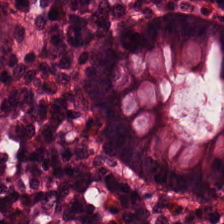H&E — non-neoplastic colon mucosa.
